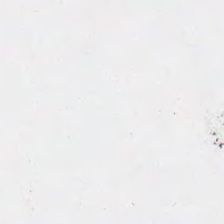Stain: hematoxylin and eosin.
Content: no tissue.
